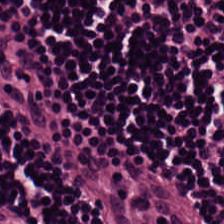Hematoxylin-and-eosin stained section — Tissue = lymphocyte aggregate.
